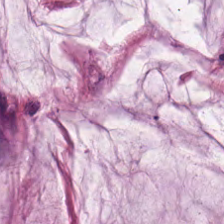Stain: H&E stain.
Tissue type: mucin.
